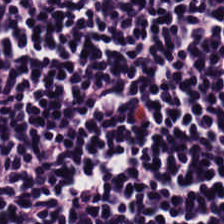Hematoxylin-and-eosin stained section · 224×224 pixel tile · formalin-fixed paraffin-embedded section. Q: What type of tissue is this?
A: It is lymphocyte aggregate.
